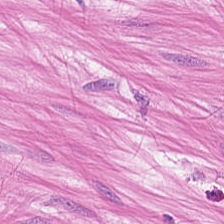Stain: H&E stain.
Tissue type: smooth-muscle tissue.
